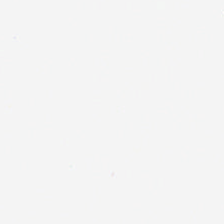0.5 µm per pixel · hematoxylin and eosin — Classification — background (no tissue).
